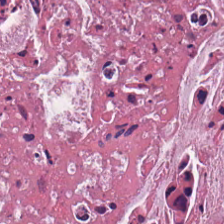Histology → cellular debris.
